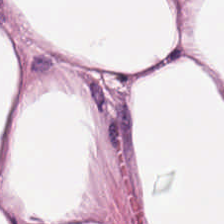H&E stain — Finding — adipocytes.
